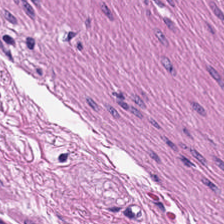H&E. Q: Classify this patch.
A: Smooth-muscle tissue.
